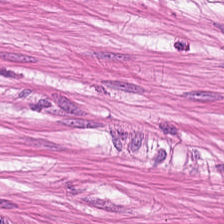Hematoxylin-and-eosin stained section · 224×224 pixel tile · WSI patch.
Muscularis.
